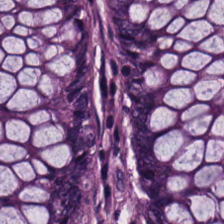H&E-stained tissue section · FFPE tissue section · WSI patch.
Q: What type of tissue is this?
A: The field shows normal colonic mucosa.
